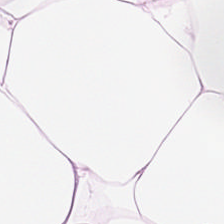Brightfield; 0.5 microns per pixel; H&E stain.
Q: What is shown here?
A: Fat tissue.
